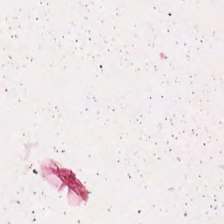224×224 px patch; H&E-stained tissue section — The predominant tissue is necrotic debris.
